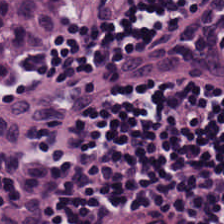Stain: hematoxylin-and-eosin stained section.
Acquisition: brightfield.
Preparation: FFPE tissue section.
Tissue: lymphocyte aggregate.
